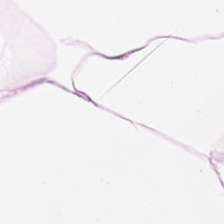H&E — Classification = adipocytes.
